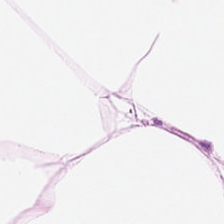Hematoxylin and eosin. Formalin-fixed paraffin-embedded section.
Showing adipose tissue.
